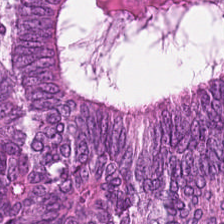H&E-stained tissue section showing colorectal adenocarcinoma.
